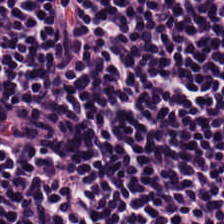Q: What is shown in this field?
A: Lymphocytic infiltrate.
